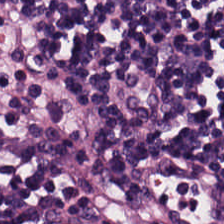{"tissue_type": "lymphocytes"}
